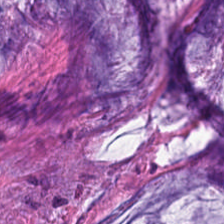Hematoxylin-and-eosin stained section · 0.5 µm/px. Predominant tissue: mucin.
